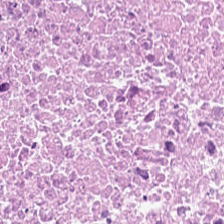The tissue here is debris.
